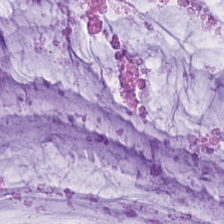H&E — mucus.
